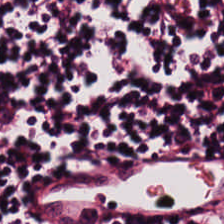H&E stain; 0.5 microns per pixel — Showing lymphoid infiltrate.
